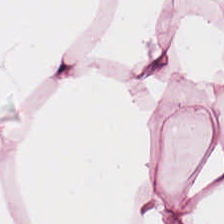Whole-slide-image patch; H&E stain.
Q: What tissue is shown?
A: It is adipose.
